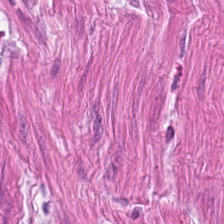H&E stain. Formalin-fixed paraffin-embedded section. Smooth-muscle tissue.
